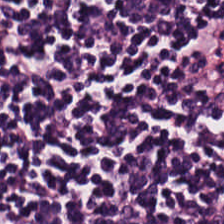Showing lymphocytic infiltrate.
